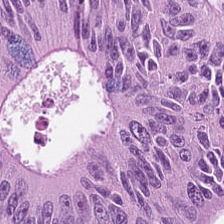H&E stain.
This patch shows malignant epithelium.
